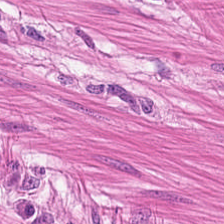Hematoxylin-and-eosin stained section; formalin-fixed paraffin-embedded section; whole-slide-image patch. The predominant tissue is smooth-muscle tissue.
